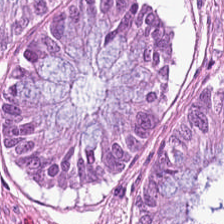H&E stain · 224×224 pixel tile.
The tissue type is normal colon mucosa.
